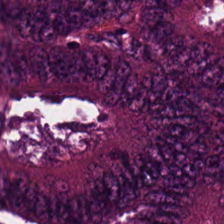Hematoxylin-and-eosin stained section; brightfield.
Impression — adenocarcinoma.
